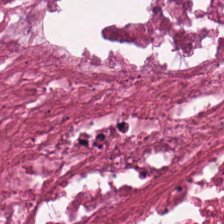H&E-stained tissue section · 0.5 µm per pixel.
Cellular debris.
